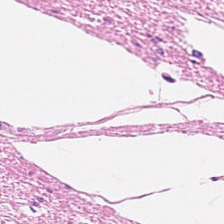20× equivalent magnification; hematoxylin and eosin; brightfield microscopy — Q: Classify this patch.
A: The field shows muscularis.
